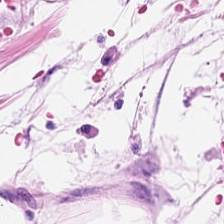Hematoxylin-and-eosin stained section.
This field is fat tissue.
